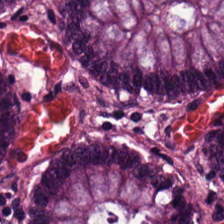H&E-stained tissue section — Histology → benign colonic mucosa.
